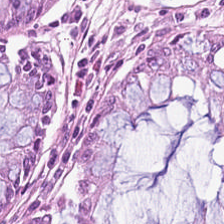H&E stain. The tissue here is normal colonic mucosa.
